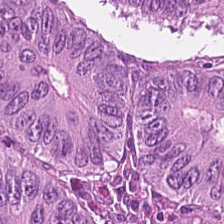H&E. 0.5 µm/px — Tissue — colorectal adenocarcinoma epithelium.
